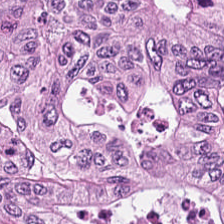Hematoxylin-and-eosin stained section. Q: What tissue type is shown here?
A: This is adenocarcinoma.
